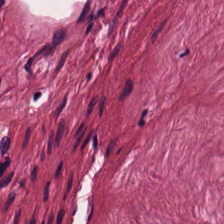Impression — tumor-associated stroma.
